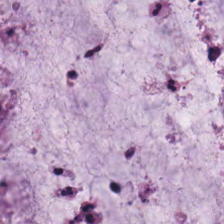H&E — Classification — mucin.
